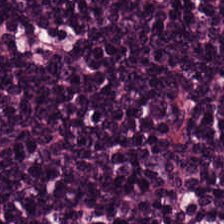Stain: H&E.
Preparation: FFPE tissue section.
Tissue type: lymphocytic infiltrate.
